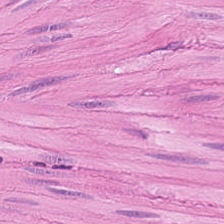H&E-stained tissue section.
{"tissue_type": "muscularis"}
